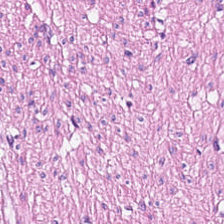Impression — muscularis.
